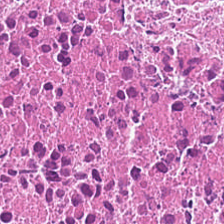Stain: hematoxylin and eosin.
Tile size: 224×224 px tile.
Acquisition: brightfield.
Tissue: cellular debris.
